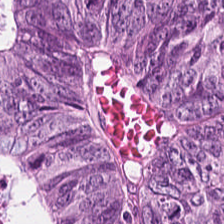WSI patch. Hematoxylin-and-eosin stained section. 20× equivalent magnification — Q: What tissue type is shown here?
A: The field shows malignant epithelium.
